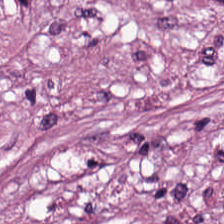FFPE · 0.5 µm per pixel · hematoxylin-and-eosin stained section — The tissue class is desmoplastic stroma.
